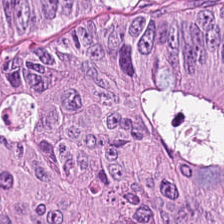FFPE tissue section; hematoxylin-and-eosin stained section.
This patch shows adenocarcinoma.
